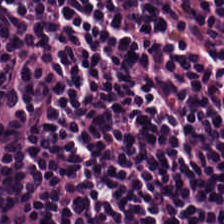{"tissue_type": "lymphocytes"}
